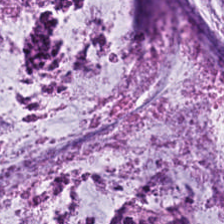Hematoxylin and eosin.
This field is extracellular mucin.
